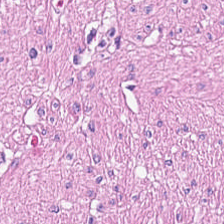Hematoxylin and eosin — This field is muscularis.
